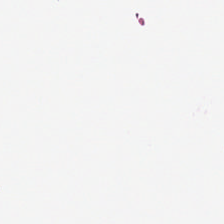Hematoxylin and eosin. Empty background.
